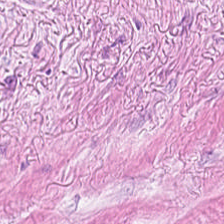Stain: hematoxylin-and-eosin stained section.
Acquisition: brightfield.
Tissue type: desmoplastic stroma.
